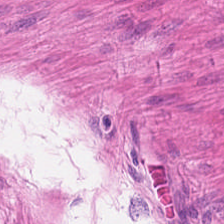20× equivalent magnification · H&E-stained tissue section.
Tissue class = smooth-muscle tissue.
